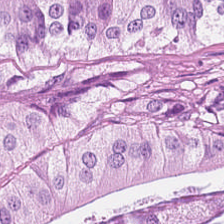H&E — tumor epithelium.
